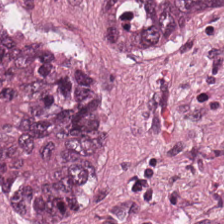224×224 px tile · H&E-stained tissue section · 0.5 microns per pixel. The tissue class is colorectal adenocarcinoma.
